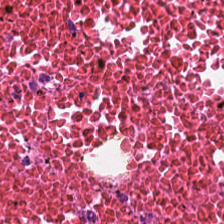H&E stain; formalin-fixed paraffin-embedded section.
The tissue is necrotic debris.
